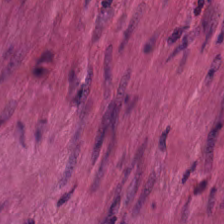H&E stain.
This patch shows smooth-muscle tissue.
